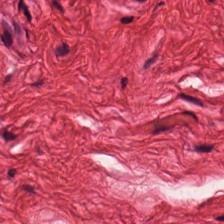Showing smooth muscle.
